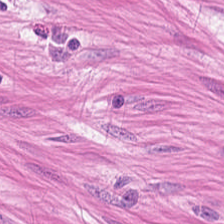H&E-stained tissue section · whole-slide-image patch. Classification: smooth muscle.
